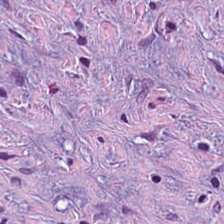Hematoxylin-and-eosin stained section · whole-slide-image patch · FFPE. Q: What tissue is shown?
A: It is tumor stroma.
